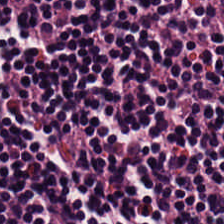H&E stain. Classification = lymphoid infiltrate.
